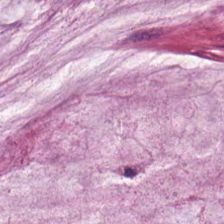Showing mucin.
